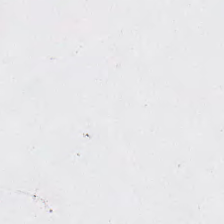Q: What is shown here?
A: Background (no tissue).
